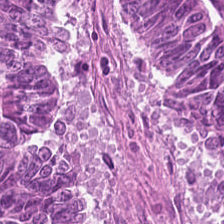Hematoxylin-and-eosin stained section.
Adenocarcinoma.
